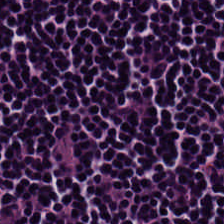The tissue class is lymphocytes.
